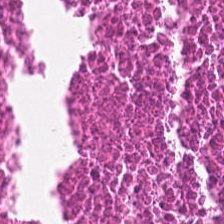Hematoxylin-and-eosin stained section.
Q: What type of tissue is this?
A: It is debris.
